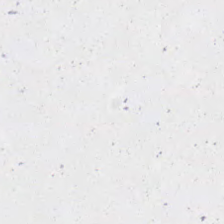FFPE tissue section. Hematoxylin and eosin — Content = no tissue.
